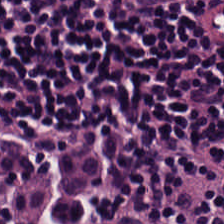H&E.
Q: What does this patch show?
A: It is lymphocyte aggregate.
